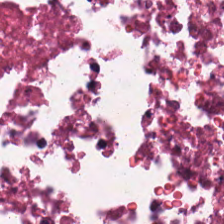Stain: H&E.
Preparation: FFPE tissue section.
Tissue type: cellular debris.
